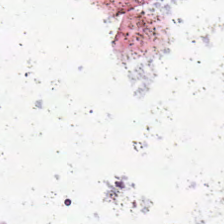Whole-slide-image patch · 224×224 pixel tile · H&E-stained tissue section.
This patch shows background (no tissue).
